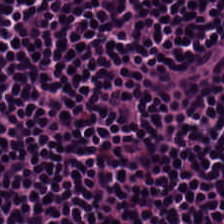Stain: H&E.
Predominant tissue: lymphoid infiltrate.
